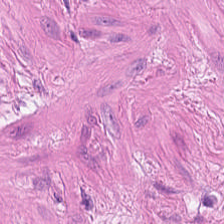H&E; 20× equivalent magnification — The classification is smooth muscle.
